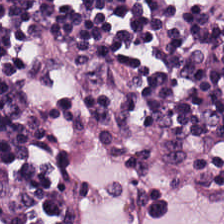Q: What is the predominant tissue type?
A: The field shows lymphocytes.
